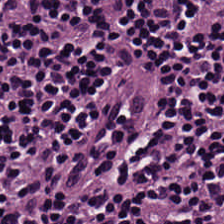Stain: H&E-stained tissue section.
Predominant tissue: lymphocyte aggregate.
